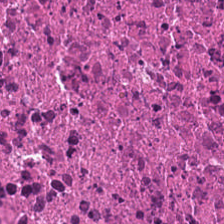Hematoxylin-and-eosin stained section.
Tissue type = debris.
